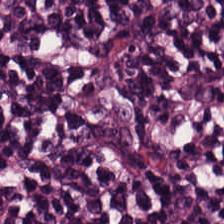Hematoxylin and eosin — Finding → lymphocytes.
